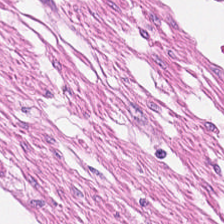H&E stain.
{"tissue_type": "smooth-muscle tissue"}
